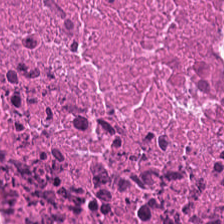Stain: H&E-stained tissue section.
Tissue class: cellular debris.
